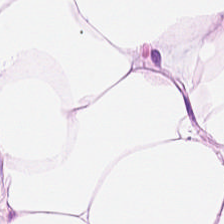H&E stain.
This field is fat tissue.
